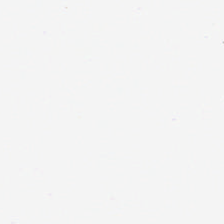0.5 µm/px · brightfield microscopy · H&E stain. Content — empty background.
